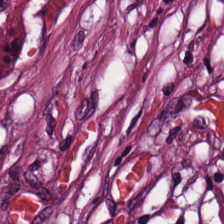The predominant tissue is tumor stroma.
